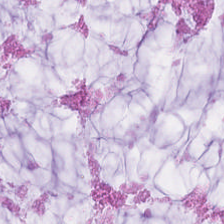Whole-slide-image patch; hematoxylin and eosin. Tissue class: mucin.
